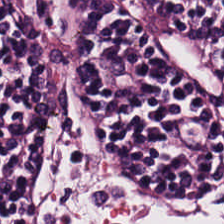H&E-stained tissue section · 20× equivalent magnification · formalin-fixed paraffin-embedded section.
This field is lymphocyte aggregate.
